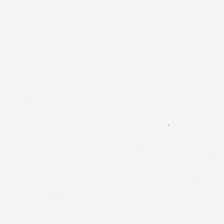Background.
